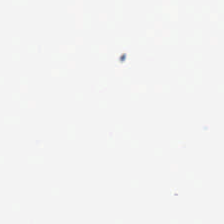Hematoxylin and eosin.
Q: Classify this patch.
A: Background.
